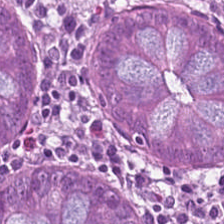0.5 µm/px · hematoxylin-and-eosin stained section. Showing benign colonic mucosa.
